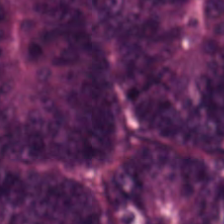Q: What tissue type is shown here?
A: The field shows colorectal adenocarcinoma epithelium.
